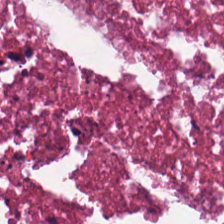H&E.
Tissue class: necrotic debris.
